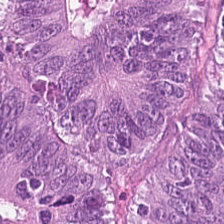H&E.
Malignant epithelium.
